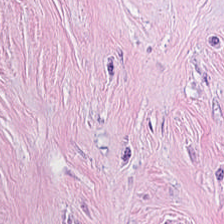Hematoxylin-and-eosin stained section; 224×224 pixel tile. Q: What tissue type is shown here?
A: The field shows tumor stroma.
